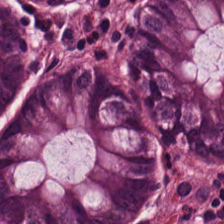224×224 px tile · hematoxylin and eosin — Showing benign colonic mucosa.
